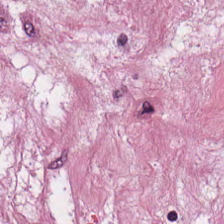FFPE. Brightfield. Hematoxylin and eosin — Classification — cancer-associated stroma.
